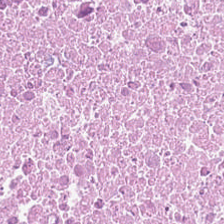H&E stain — The tissue here is debris.
